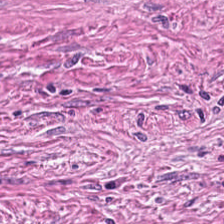Hematoxylin-and-eosin stained section.
The predominant tissue is cancer-associated stroma.
